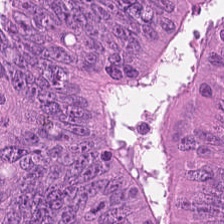224×224 pixel tile. H&E stain — Tissue type: adenocarcinoma.
